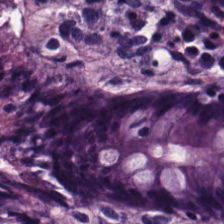H&E-stained tissue section.
This field is non-neoplastic colon mucosa.
